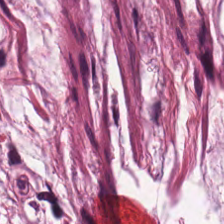Q: What is shown here?
A: The field shows extracellular mucin.
